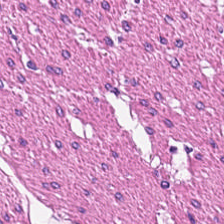H&E — smooth muscle.
